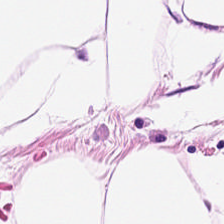H&E — This field is fat tissue.
